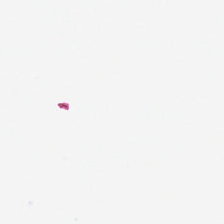Stain: H&E.
Resolution: 0.5 µm per pixel.
Field content: empty background.
